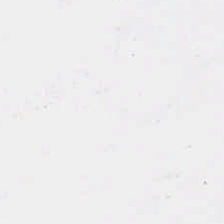Empty field — background.
